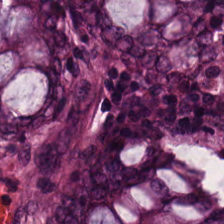Formalin-fixed paraffin-embedded section; whole-slide-image patch; H&E stain. Predominantly normal colonic mucosa.
